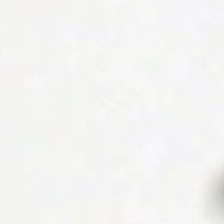Hematoxylin and eosin.
The classification is no tissue.
